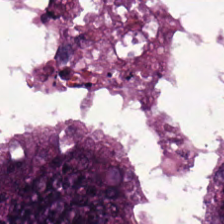H&E. 224×224 px patch.
Q: What is shown in this field?
A: The field shows tumor epithelium.
